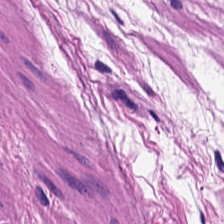Brightfield; H&E.
Tissue — smooth-muscle tissue.
